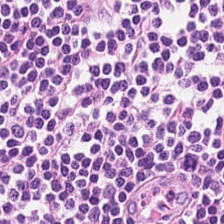H&E — lymphocyte aggregate.
